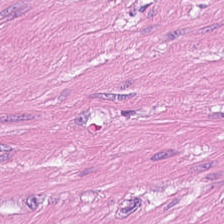H&E stain. Q: Identify the tissue.
A: The field shows smooth-muscle tissue.
